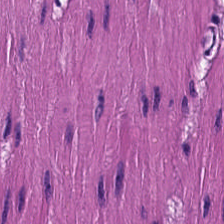Hematoxylin and eosin.
Showing smooth muscle.
